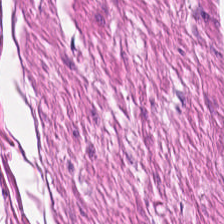FFPE tissue section. H&E-stained tissue section. Smooth-muscle tissue.
